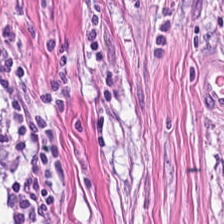Hematoxylin-and-eosin stained section · 0.5 µm/px · 224×224 pixel tile.
Histology → tumor stroma.
